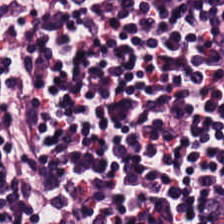Hematoxylin-and-eosin section: lymphoid infiltrate.
